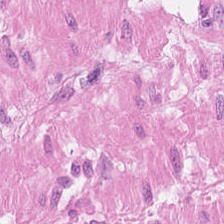H&E. 224×224 pixel tile.
The classification is smooth-muscle tissue.
